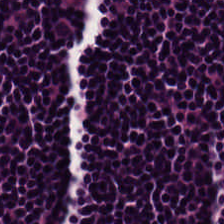Whole-slide-image patch; H&E; formalin-fixed paraffin-embedded section. Histology → lymphoid infiltrate.
